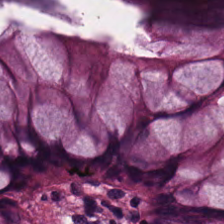Hematoxylin-and-eosin stained section — This patch shows benign colonic mucosa.
